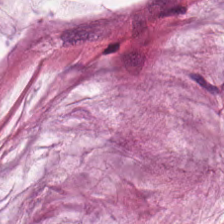Tissue: extracellular mucin.
